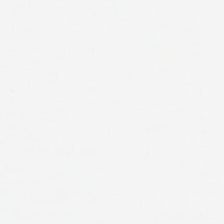Hematoxylin-and-eosin stained section — Empty background.
